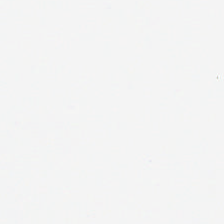Stain: hematoxylin-and-eosin stained section.
Preparation: FFPE.
Acquisition: brightfield microscopy.
Classification: background (no tissue).
